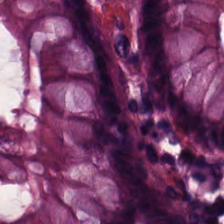H&E-stained tissue section.
Tissue = normal colonic mucosa.
